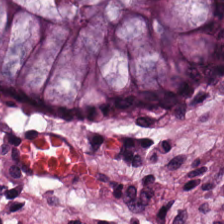Hematoxylin-and-eosin stained section.
Classification — normal colonic mucosa.
